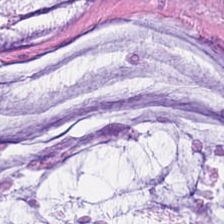Stain: H&E stain.
Acquisition: WSI patch.
Preparation: formalin-fixed paraffin-embedded section.
Classification: extracellular mucin.
